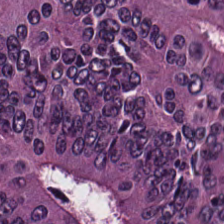Hematoxylin-and-eosin stained section. Brightfield.
Colorectal adenocarcinoma.
